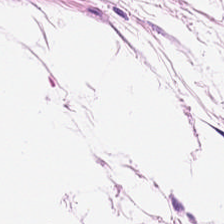Q: What tissue is shown?
A: The field shows adipose.
